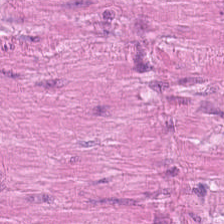This field is smooth muscle.
